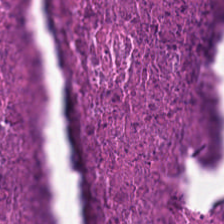This field is necrotic debris.
